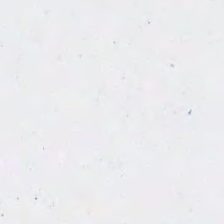Field content — background.
